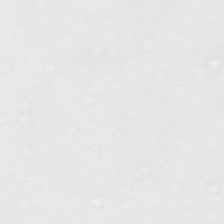H&E stain · brightfield microscopy.
Empty field — background.
